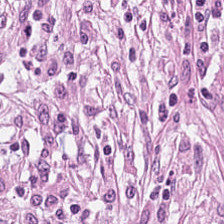H&E stain — Impression → cancer-associated stroma.
